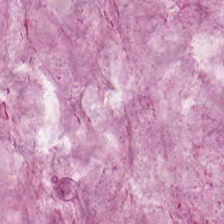H&E — Impression → extracellular mucin.
